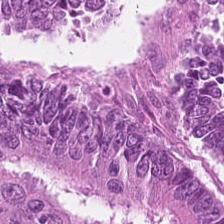Stain: hematoxylin and eosin.
Preparation: FFPE.
Tissue type: adenocarcinoma.
